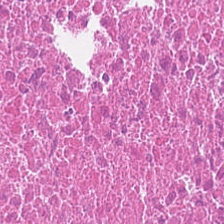FFPE; H&E; 0.5 microns per pixel — Tissue type = necrotic debris.
